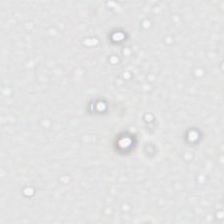{"content": "no tissue"}
